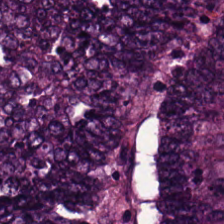WSI patch. H&E. Predominantly colorectal adenocarcinoma.
